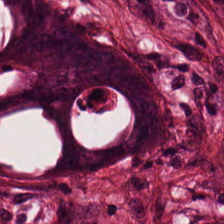Tissue: malignant epithelium.
